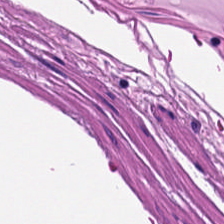Stain: H&E-stained tissue section.
Resolution: 20× equivalent magnification.
Tile size: 224×224 pixel tile.
Tissue: smooth muscle.
